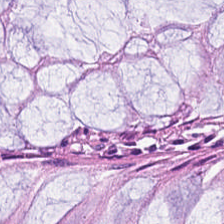H&E-stained tissue section.
Q: What type of tissue is this?
A: This is normal colon mucosa.
